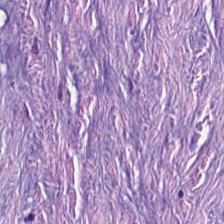H&E-stained tissue section.
The tissue is cancer-associated stroma.
